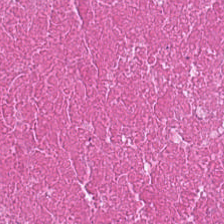224×224 pixel tile · formalin-fixed paraffin-embedded section · hematoxylin-and-eosin stained section. Tissue class — debris.
